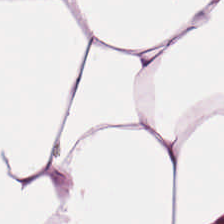Classification: adipose.
